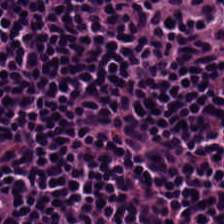H&E-stained tissue section.
Lymphocytes.
